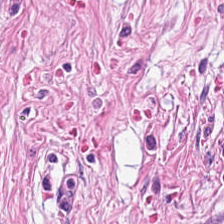Hematoxylin-and-eosin stained section.
Predominant tissue — cancer-associated stroma.
